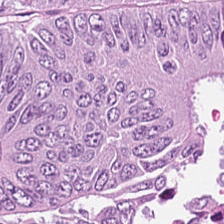WSI patch. 224×224 px tile. H&E-stained tissue section. Tissue type = adenocarcinoma.
